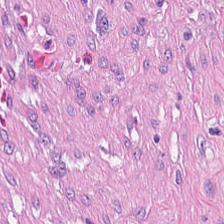20× equivalent magnification · H&E-stained tissue section — Classification = cancer-associated stroma.
